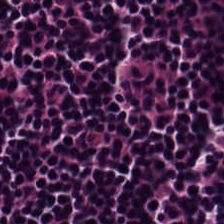Hematoxylin-and-eosin stained section; whole-slide-image patch.
Showing lymphoid infiltrate.
